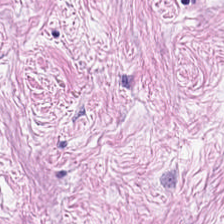Cancer-associated stroma.
